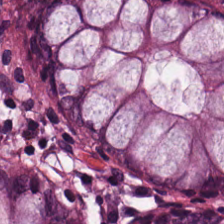H&E-stained tissue section; 0.5 µm per pixel.
This field is non-neoplastic colon mucosa.
